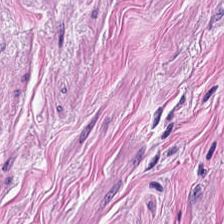Hematoxylin and eosin.
Predominantly muscularis.
